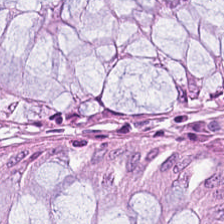This field is non-neoplastic colon mucosa.
